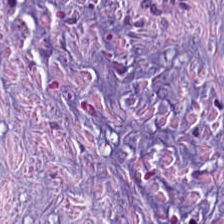Brightfield; hematoxylin and eosin — Tissue: desmoplastic stroma.
